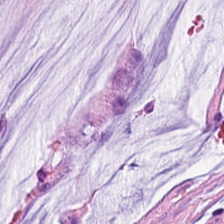Finding — extracellular mucin.
